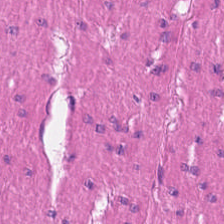The predominant tissue is smooth-muscle tissue.
